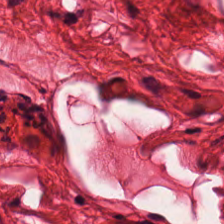H&E — smooth-muscle tissue.
